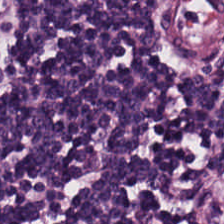Hematoxylin and eosin. 0.5 microns per pixel. Histology → lymphoid infiltrate.
